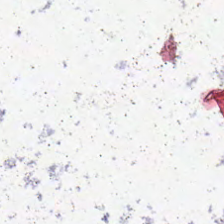0.5 µm per pixel; H&E-stained tissue section. Histology → background (no tissue).
